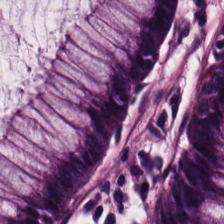H&E stain — Classification — normal colonic mucosa.
